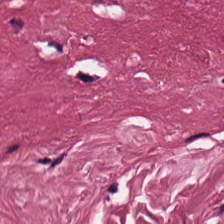Desmoplastic stroma.
